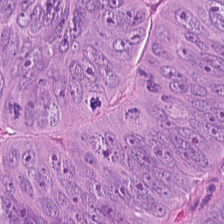H&E stain · 0.5 µm per pixel · brightfield — The tissue here is malignant epithelium.
